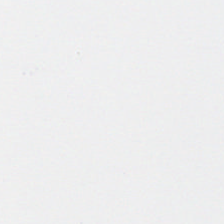0.5 µm/px; H&E stain.
Empty field — background (no tissue).
